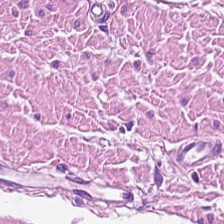Histology — smooth muscle.
